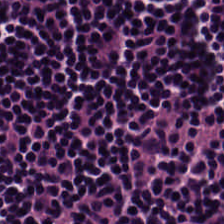Hematoxylin-and-eosin stained section.
Tissue — lymphocytes.
